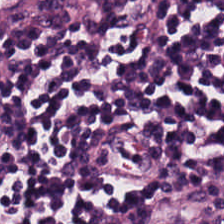{"tissue_type": "lymphocytes"}
